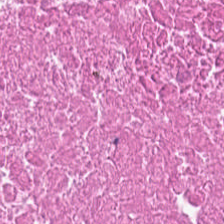The tissue here is necrotic debris.
